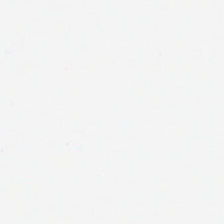H&E stain.
The content is background.
